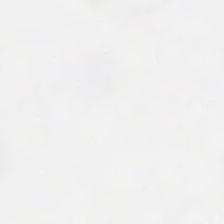H&E-stained tissue section · FFPE tissue section.
Background — no tissue in this field.
